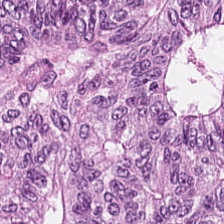224×224 pixel tile · H&E stain.
This patch shows adenocarcinoma.
